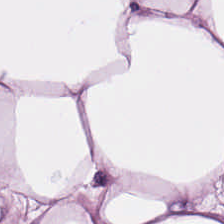FFPE; hematoxylin-and-eosin stained section; 0.5 microns per pixel. Histology — fat tissue.
